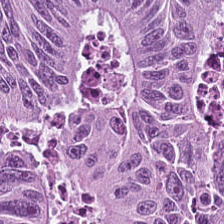H&E-stained tissue section. Q: What is shown here?
A: The field shows colorectal adenocarcinoma epithelium.
